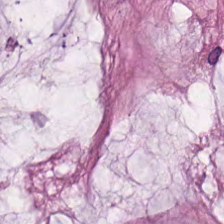Brightfield microscopy. Hematoxylin-and-eosin stained section.
Q: Classify this patch.
A: The field shows mucus.
